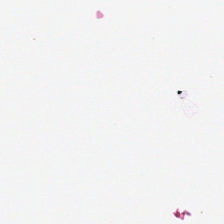Hematoxylin and eosin — {"content": "background (no tissue)"}
